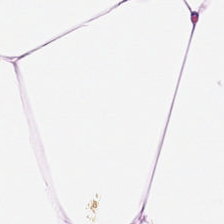H&E-stained tissue section — This patch shows adipose tissue.
